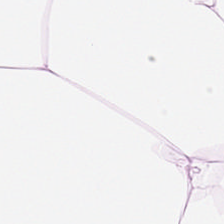H&E-stained tissue section. FFPE tissue section — Tissue class = adipose tissue.
